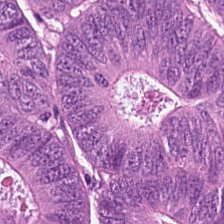Q: What tissue is shown?
A: The field shows adenocarcinoma.
